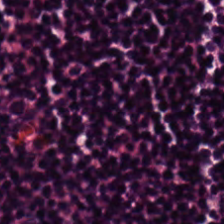20× equivalent magnification · H&E-stained tissue section · 224×224 pixel tile — Lymphocytic infiltrate.
